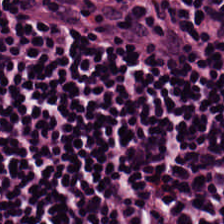H&E.
Q: What type of tissue is this?
A: The field shows lymphoid infiltrate.
